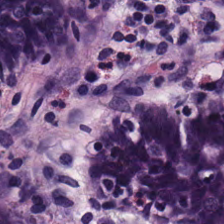0.5 µm/px · H&E-stained tissue section. {"tissue_type": "normal colon mucosa"}
